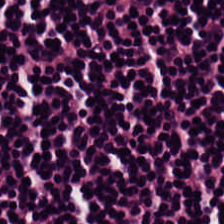Formalin-fixed paraffin-embedded section · hematoxylin and eosin — The tissue here is lymphoid infiltrate.
